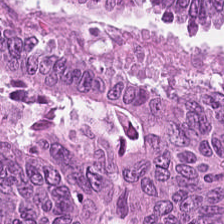H&E.
The predominant tissue is malignant epithelium.
